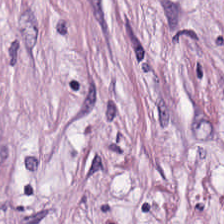Hematoxylin-and-eosin stained section. This patch shows tumor-associated stroma.
